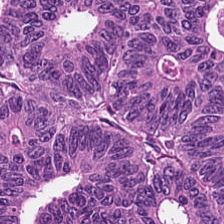224×224 px tile; H&E stain.
The predominant tissue is colorectal adenocarcinoma.
